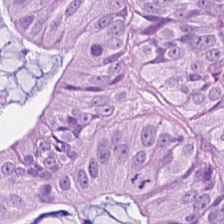Hematoxylin-and-eosin stained section.
Q: What is shown here?
A: Colorectal adenocarcinoma epithelium.
